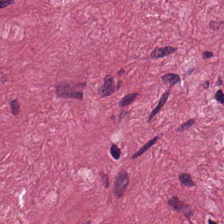Hematoxylin-and-eosin stained section.
Tissue class: tumor stroma.
